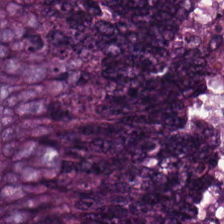Hematoxylin-and-eosin stained section — Q: What type of tissue is this?
A: It is tumor epithelium.
